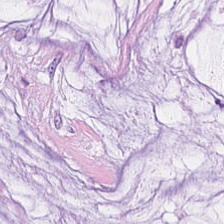20× equivalent magnification; hematoxylin-and-eosin stained section.
Tissue — extracellular mucin.
